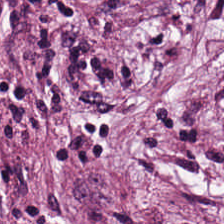Hematoxylin and eosin. Q: What is the predominant tissue type?
A: The field shows desmoplastic stroma.
